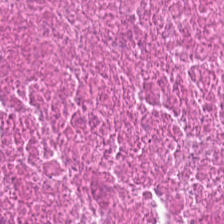H&E — This field is debris.
